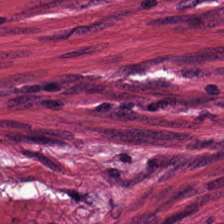H&E-stained tissue section.
The tissue here is cancer-associated stroma.
